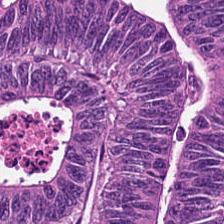Hematoxylin and eosin; 20× equivalent magnification.
Impression → adenocarcinoma.
